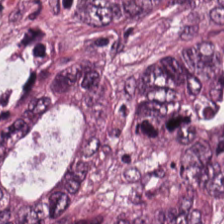Hematoxylin-and-eosin stained section.
Q: What tissue type is shown here?
A: The field shows adenocarcinoma.
